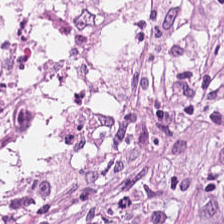Stain: hematoxylin and eosin.
Acquisition: WSI patch.
Preparation: FFPE.
Predominant tissue: tumor stroma.
